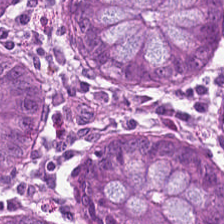Classification = non-neoplastic colon mucosa.
